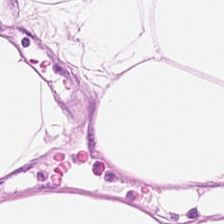224×224 px tile. H&E-stained tissue section. The predominant tissue is adipose.
